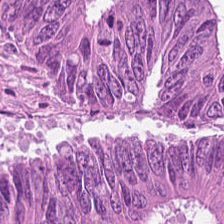Brightfield microscopy. Hematoxylin and eosin — Impression → malignant epithelium.
